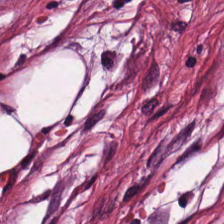Hematoxylin-and-eosin stained section — The predominant tissue is cancer-associated stroma.
